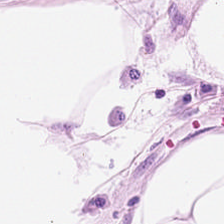H&E-stained section; the field shows adipocytes.
